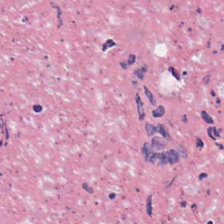Hematoxylin and eosin. Tissue type = debris.
